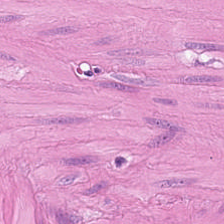H&E stain. Predominantly muscularis.
